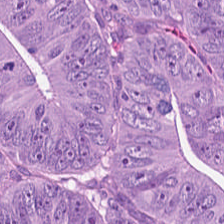Finding — adenocarcinoma.
